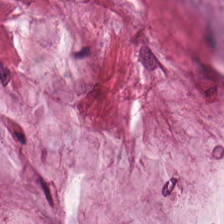Stain: H&E stain.
Tile size: 224×224 pixel tile.
Classification: mucus.
